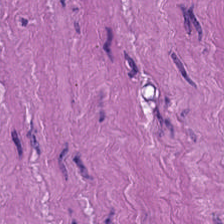Hematoxylin and eosin · brightfield — Muscularis.
